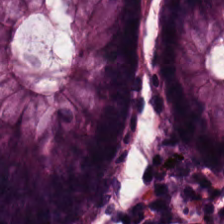Q: Identify the tissue.
A: The field shows benign colonic mucosa.
